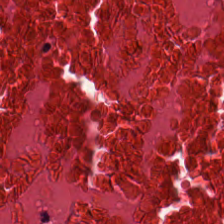H&E stain · formalin-fixed paraffin-embedded section · 0.5 µm/px — Tissue: necrotic debris.
